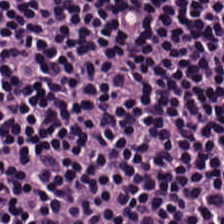Hematoxylin-and-eosin stained section. Impression → lymphocytes.
